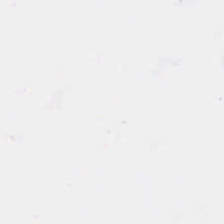20× equivalent magnification; hematoxylin and eosin; whole-slide-image patch.
Empty field — no tissue.
